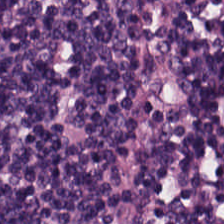H&E-stained tissue section. Formalin-fixed paraffin-embedded section. Brightfield microscopy. The tissue is lymphocytic infiltrate.
